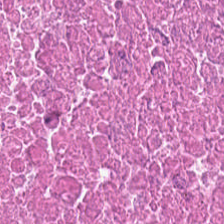H&E stain; 224×224 px patch — This patch shows cellular debris.
